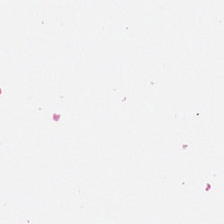H&E-stained tissue section — Q: Classify this patch.
A: Empty background.
